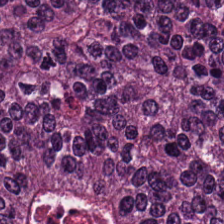FFPE. H&E stain. 20× equivalent magnification. {"tissue_type": "tumor epithelium"}
